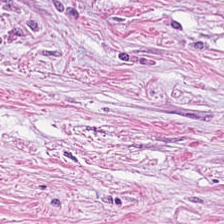Showing desmoplastic stroma.
